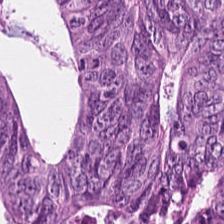Tissue type = adenocarcinoma.
